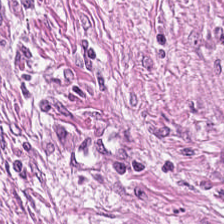H&E-stained tissue section. Desmoplastic stroma.
